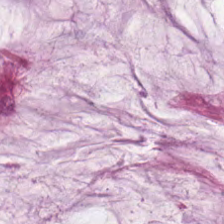Showing extracellular mucin.
